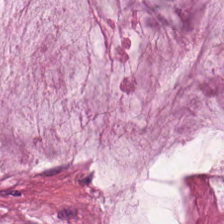H&E. Showing extracellular mucin.
